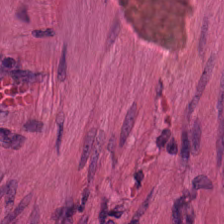Hematoxylin and eosin.
This field is smooth muscle.
